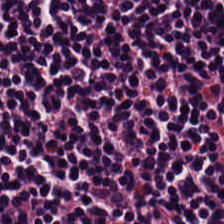Hematoxylin and eosin. WSI patch. 0.5 µm/px. Histology — lymphocyte aggregate.
